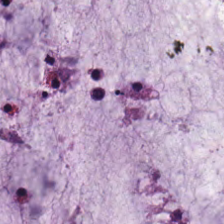Stain: hematoxylin and eosin.
Classification: mucus.
